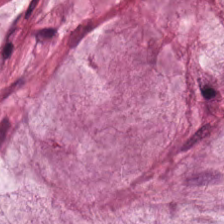224×224 pixel tile · H&E — The tissue class is mucin.
